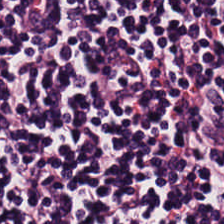224×224 px patch. FFPE. H&E-stained tissue section.
The predominant tissue is lymphocytic infiltrate.
